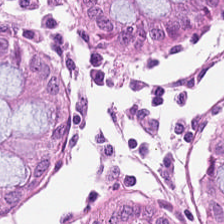20× equivalent magnification; 224×224 pixel tile; H&E-stained tissue section. Predominantly normal colon mucosa.
